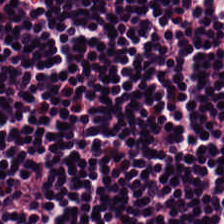Stain: H&E stain.
Tissue type: lymphocyte aggregate.
